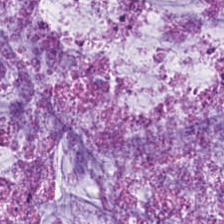Stain: H&E.
Tissue type: mucin.
